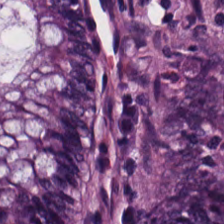H&E stain.
This field is normal colonic mucosa.
